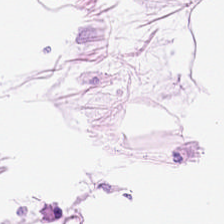Formalin-fixed paraffin-embedded section; H&E-stained tissue section.
Adipose tissue.
